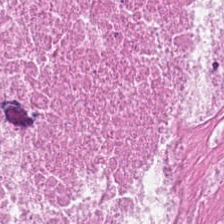H&E-stained tissue section · FFPE tissue section · 0.5 µm/px. This patch shows cellular debris.
